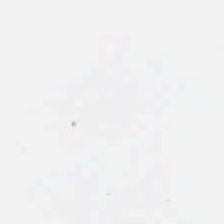H&E-stained tissue section.
Content — empty background.
